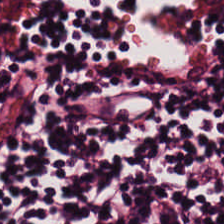H&E — Q: Classify this patch.
A: This is lymphocytes.
